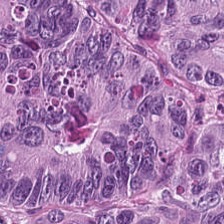Brightfield microscopy. H&E stain — Histology → malignant epithelium.
